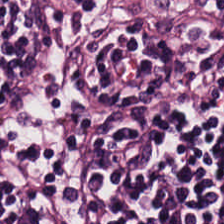FFPE tissue section; H&E-stained tissue section; brightfield microscopy — Histology — lymphocytic infiltrate.
